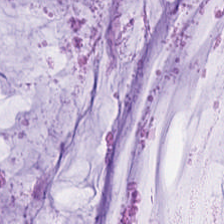Hematoxylin-and-eosin stained section. This field is extracellular mucin.
